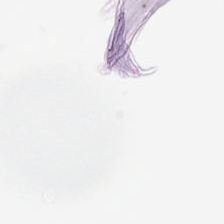Hematoxylin and eosin — Classification: background.
